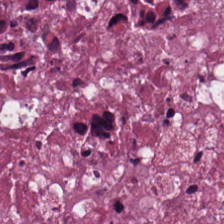Tissue class: necrotic debris.
